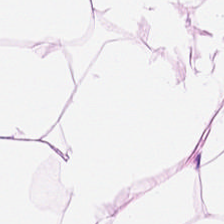Stain: H&E stain.
Preparation: FFPE tissue section.
Predominant tissue: adipose tissue.
